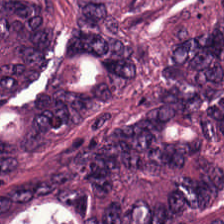0.5 microns per pixel. H&E stain. Q: What is shown here?
A: It is tumor epithelium.
